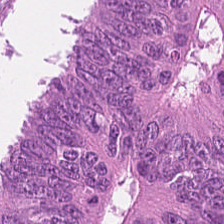H&E. Q: Classify this patch.
A: Tumor epithelium.
